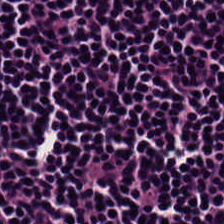The predominant tissue is lymphocytic infiltrate.
